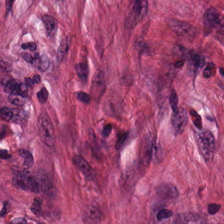Predominant tissue = tumor-associated stroma.
